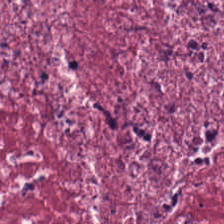Stain: H&E.
Tissue: desmoplastic stroma.
